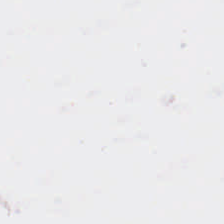Q: What is shown here?
A: Background (no tissue).
